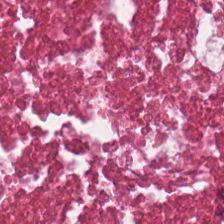H&E. Histology → necrotic debris.
